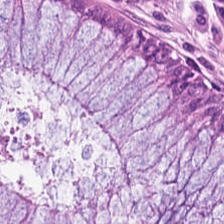Hematoxylin-and-eosin stained section. 224×224 pixel tile. Q: Identify the tissue.
A: This is non-neoplastic colon mucosa.
